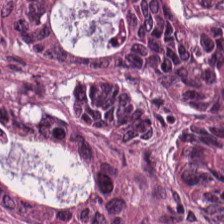Formalin-fixed paraffin-embedded section. Hematoxylin and eosin. 224×224 pixel tile. Colorectal adenocarcinoma.
